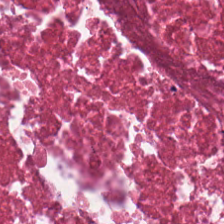Stain: hematoxylin and eosin.
Predominant tissue: cellular debris.
